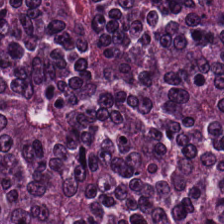Tissue type: tumor epithelium.
